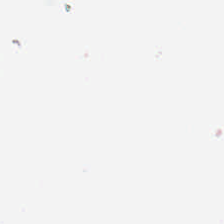Stain: H&E.
Content: background (no tissue).
